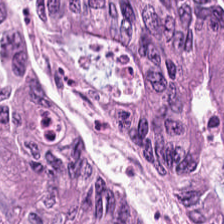FFPE tissue section; H&E-stained tissue section.
{"tissue_type": "colorectal adenocarcinoma epithelium"}
